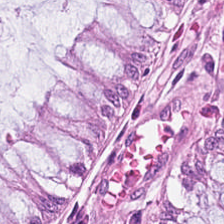H&E stain. Predominantly normal colonic mucosa.
